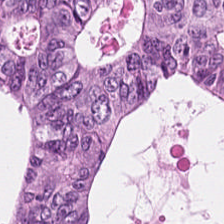224×224 px patch; H&E — This field is tumor epithelium.
